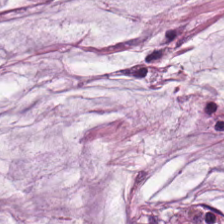H&E.
Mucin.
